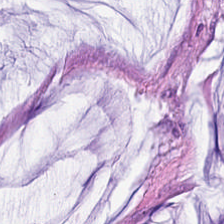Hematoxylin-and-eosin stained section. Classification — mucus.
